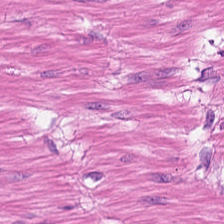H&E-stained tissue section. Classification — smooth muscle.
